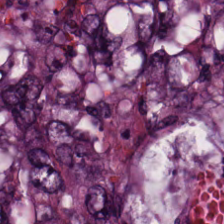0.5 µm/px; H&E stain; brightfield. Q: What is the predominant tissue type?
A: It is tumor epithelium.
